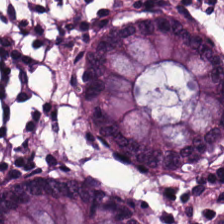Tissue type: benign colonic mucosa.
